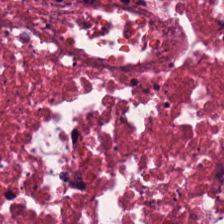Stain: H&E-stained tissue section.
Predominant tissue: cellular debris.
